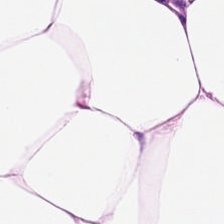Hematoxylin-and-eosin stained section · brightfield. Q: What tissue type is shown here?
A: It is fat tissue.
